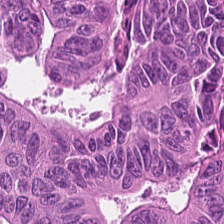Hematoxylin-and-eosin stained section. Tissue: adenocarcinoma.
